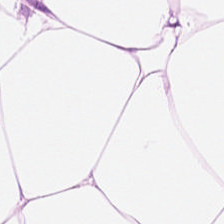Hematoxylin-and-eosin stained section.
Predominant tissue — adipocytes.
